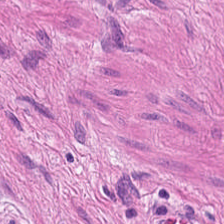H&E-stained tissue section — Q: Identify the tissue.
A: This is smooth-muscle tissue.
